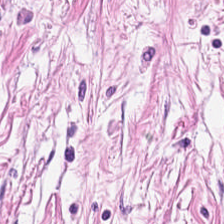Hematoxylin and eosin — Predominant tissue — tumor stroma.
